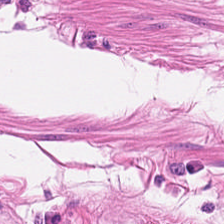Q: What tissue type is shown here?
A: It is muscularis.
